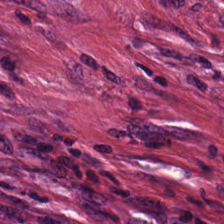Brightfield. 224×224 pixel tile. H&E. Tissue: tumor-associated stroma.
